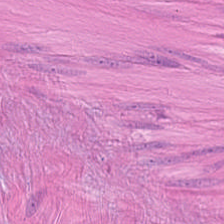Formalin-fixed paraffin-embedded section; 0.5 microns per pixel; H&E stain — Tissue = smooth-muscle tissue.
